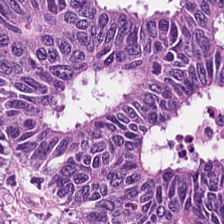H&E.
Tissue type = colorectal adenocarcinoma epithelium.
